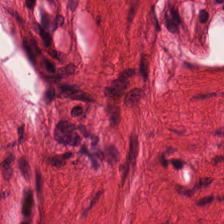Q: What is the predominant tissue type?
A: It is smooth muscle.
